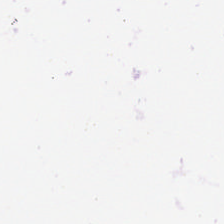Brightfield. Hematoxylin and eosin.
Classification = background (no tissue).
